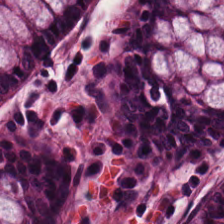H&E. Finding → benign colonic mucosa.
